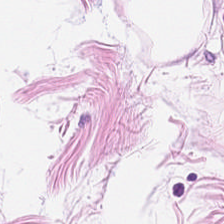H&E stain · 0.5 µm per pixel — Q: What is shown in this field?
A: It is adipose.
